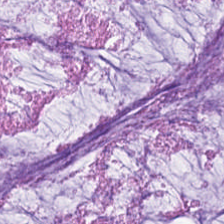H&E — {"tissue_type": "mucus"}
